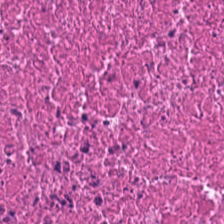Formalin-fixed paraffin-embedded section; H&E-stained tissue section.
Tissue class = necrotic debris.
